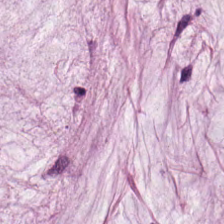Hematoxylin-and-eosin stained section · FFPE tissue section · whole-slide-image patch. This patch shows mucin.
